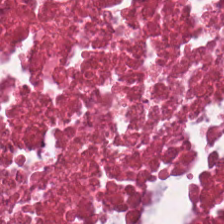Stain: hematoxylin-and-eosin stained section.
Resolution: 0.5 µm/px.
Predominant tissue: cellular debris.
